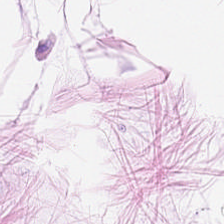H&E-stained tissue section — Showing adipose.
